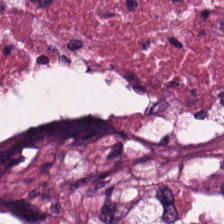H&E stain.
Tissue type: necrotic debris.
